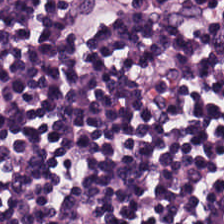The predominant tissue is lymphoid infiltrate.
